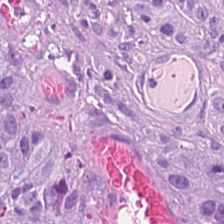H&E-stained tissue section. Predominant tissue — colorectal adenocarcinoma epithelium.
